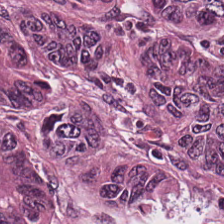Hematoxylin and eosin; 0.5 µm per pixel; 224×224 px patch.
The predominant tissue is malignant epithelium.
